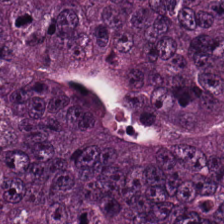Malignant epithelium.
